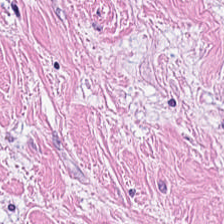Tumor-associated stroma.
